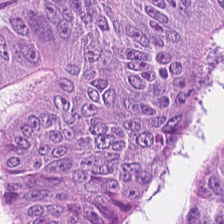H&E stain. Brightfield microscopy.
The tissue here is malignant epithelium.
